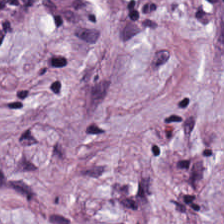Desmoplastic stroma.
